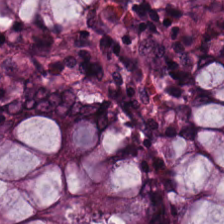Stain: hematoxylin-and-eosin stained section.
Resolution: 0.5 µm/px.
Tissue type: normal colonic mucosa.
